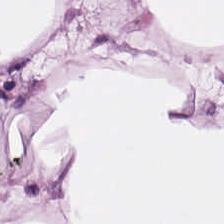Hematoxylin and eosin — This patch shows adipocytes.
